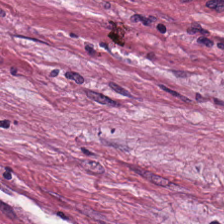H&E stain — Q: What tissue is shown?
A: Cancer-associated stroma.
